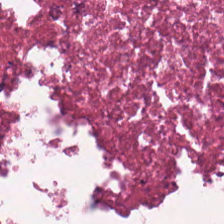H&E-stained tissue section.
Necrotic debris.
